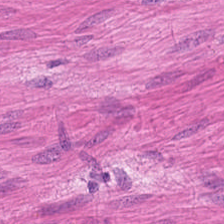0.5 µm/px. Hematoxylin-and-eosin stained section. Smooth-muscle tissue.
